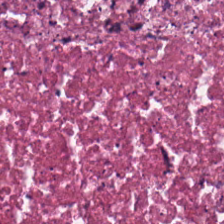Q: What tissue type is shown here?
A: Debris.
